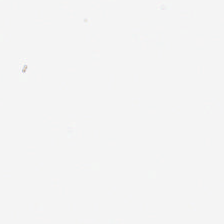Hematoxylin and eosin. 0.5 µm per pixel — Content = background.
